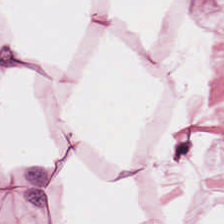Formalin-fixed paraffin-embedded section · hematoxylin-and-eosin stained section.
Adipose tissue.
